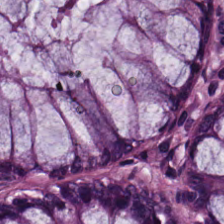This patch shows normal colon mucosa.
